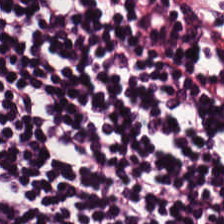The tissue here is lymphoid infiltrate.
